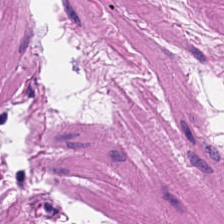Hematoxylin and eosin; 224×224 px tile. Q: What is shown here?
A: The field shows smooth-muscle tissue.
